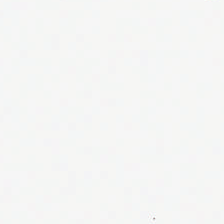This patch shows empty background.
